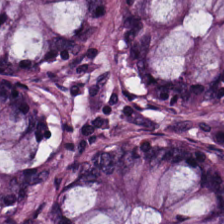H&E-stained tissue section · 20× equivalent magnification — Predominantly benign colonic mucosa.
